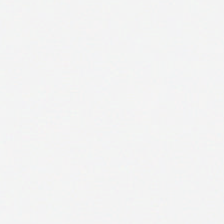Hematoxylin and eosin. Impression — background (no tissue).
